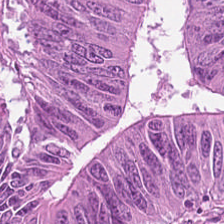WSI patch. Hematoxylin-and-eosin stained section.
Predominantly tumor epithelium.
